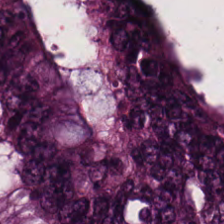The tissue type is colorectal adenocarcinoma epithelium.
